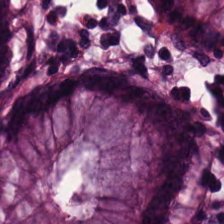WSI patch. H&E.
Predominantly benign colonic mucosa.
